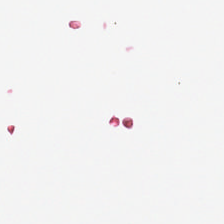No tissue present; background only.
